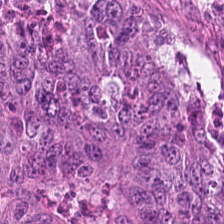H&E stain.
Classification — tumor epithelium.
